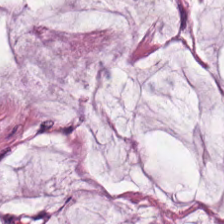The tissue here is mucin.
